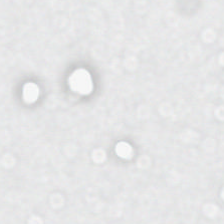H&E stain.
Field content: background (no tissue).
